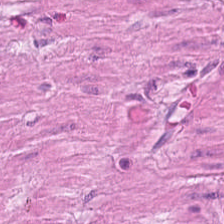Hematoxylin and eosin.
Classification: muscularis.
